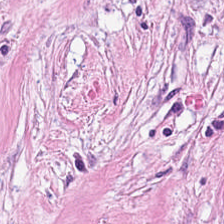Whole-slide-image patch. H&E. Q: What type of tissue is this?
A: Tumor stroma.
